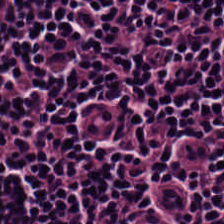Hematoxylin-and-eosin stained section.
This field is lymphoid infiltrate.
